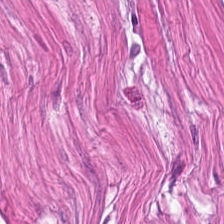FFPE tissue section · hematoxylin-and-eosin stained section — Predominantly smooth-muscle tissue.
